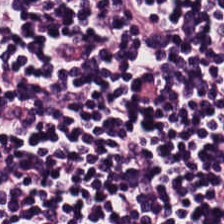Hematoxylin and eosin; WSI patch. Q: Identify the tissue.
A: This is lymphocytic infiltrate.
